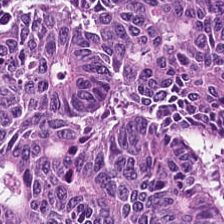Hematoxylin-and-eosin stained section; formalin-fixed paraffin-embedded section. Histology → malignant epithelium.
